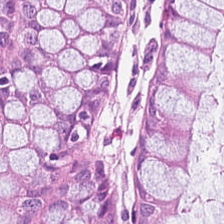H&E — Finding — normal colon mucosa.
